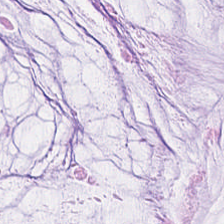0.5 µm/px · 224×224 px tile · H&E. {"tissue_type": "mucin"}
